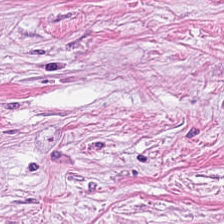Stain: H&E-stained tissue section.
Tissue type: cancer-associated stroma.
